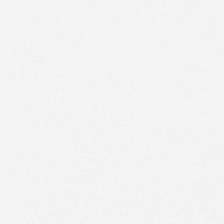Stain: H&E-stained tissue section.
Acquisition: whole-slide-image patch.
Content: background (no tissue).
